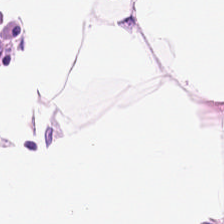Q: Identify the tissue.
A: Adipocytes.
